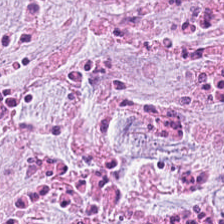H&E. FFPE tissue section.
{"tissue_type": "tumor-associated stroma"}
